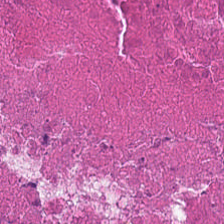FFPE · whole-slide-image patch · hematoxylin and eosin. Q: What is shown in this field?
A: Necrotic debris.
